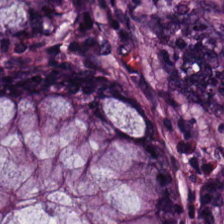Hematoxylin and eosin; 224×224 px tile.
Q: What is the predominant tissue type?
A: Normal colon mucosa.
